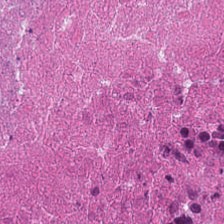H&E — Q: What is shown in this field?
A: Cellular debris.
